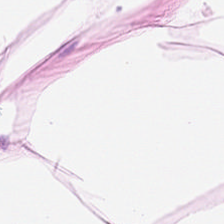20× equivalent magnification; hematoxylin-and-eosin stained section; FFPE. Q: What tissue is shown?
A: The field shows adipose.
